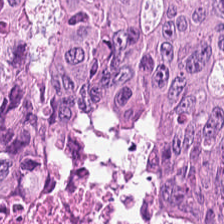Impression — adenocarcinoma.
